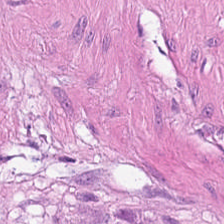Hematoxylin and eosin.
Histology → muscularis.
